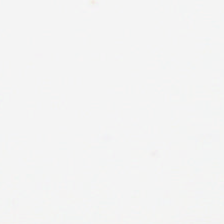Stain: H&E-stained tissue section.
Field content: background (no tissue).
